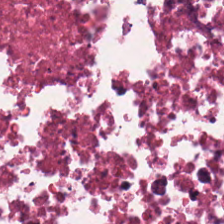Hematoxylin and eosin.
Debris.
